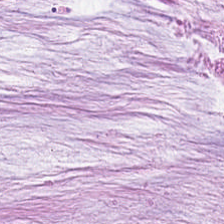H&E. This patch shows mucin.
